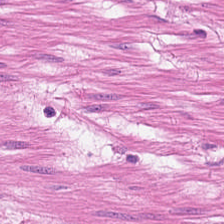H&E; brightfield microscopy; 0.5 microns per pixel. The classification is muscularis.
